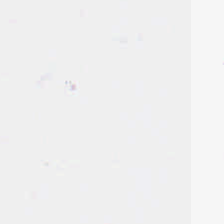Hematoxylin-and-eosin stained section — The content is background (no tissue).
